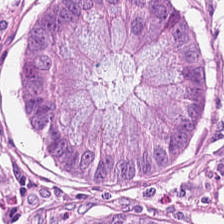Hematoxylin and eosin.
Classification = normal colonic mucosa.
